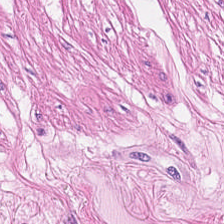H&E stain.
This field is smooth-muscle tissue.
